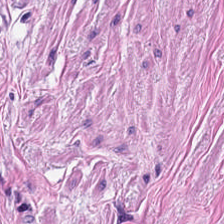H&E. FFPE. Classification = smooth-muscle tissue.
